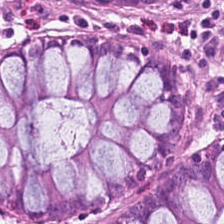H&E. {"tissue_type": "non-neoplastic colon mucosa"}
